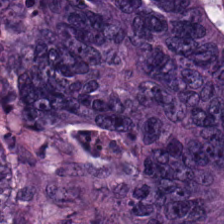H&E — Q: What is the predominant tissue type?
A: It is malignant epithelium.
